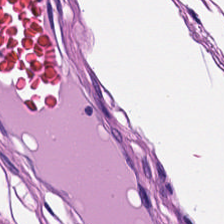Impression — smooth-muscle tissue.
